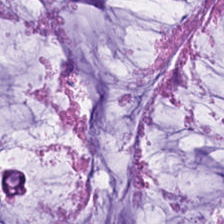Hematoxylin-and-eosin stained section. FFPE. 224×224 px tile. Finding → extracellular mucin.
